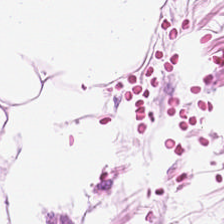Stain: hematoxylin and eosin.
Acquisition: brightfield.
Tissue class: adipose.
